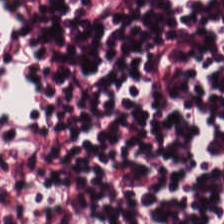224×224 px patch · H&E — The tissue class is lymphocyte aggregate.
